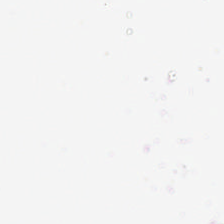Hematoxylin and eosin — No tissue present; background only.
